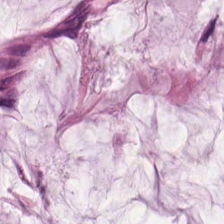H&E-stained tissue section; 0.5 microns per pixel; brightfield microscopy.
The tissue here is extracellular mucin.
